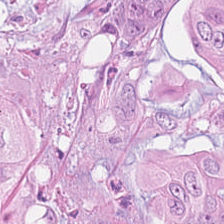H&E-stained tissue section. The predominant tissue is colorectal adenocarcinoma.
